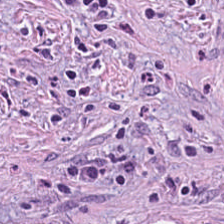This field is tumor stroma.
